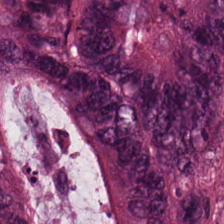FFPE; hematoxylin and eosin; 224×224 px patch.
Q: What is the predominant tissue type?
A: The field shows adenocarcinoma.
